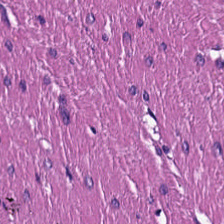H&E. Tissue class — smooth-muscle tissue.
